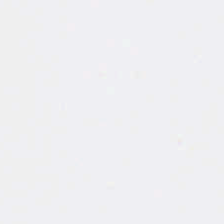H&E. 20× equivalent magnification. {"content": "no tissue"}
